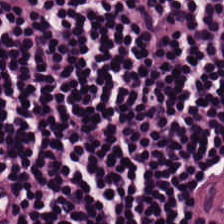20× equivalent magnification. H&E — Q: What is shown in this field?
A: This is lymphocytic infiltrate.
